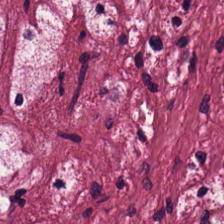H&E-stained tissue section; FFPE. Classification — desmoplastic stroma.
